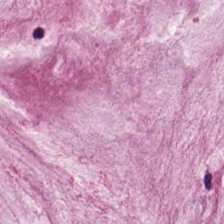Q: What does this patch show?
A: The field shows mucin.
